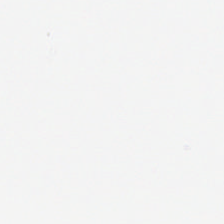224×224 px tile; hematoxylin-and-eosin stained section; FFPE tissue section. Field content = no tissue.
